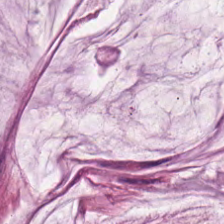H&E-stained tissue section. Mucus.
